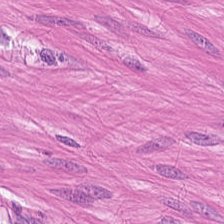Q: Identify the tissue.
A: The field shows muscularis.
